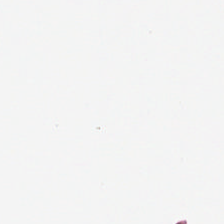Background — no tissue in this field.
